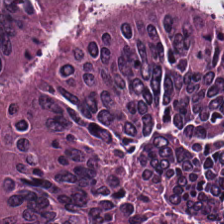Classification: malignant epithelium.
